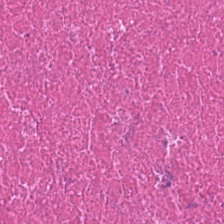H&E stain. {"tissue_type": "cellular debris"}
